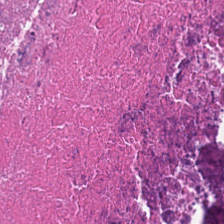Hematoxylin and eosin. {"tissue_type": "necrotic debris"}
